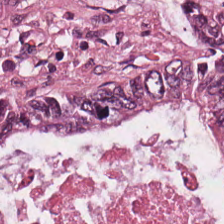The predominant tissue is colorectal adenocarcinoma.
